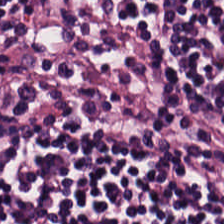Stain: H&E.
Tissue class: lymphocyte aggregate.
